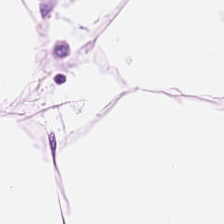H&E. Adipocytes.
